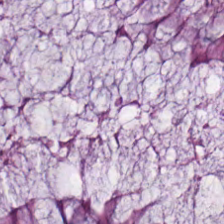The tissue type is normal colonic mucosa.
